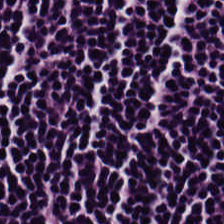Hematoxylin-and-eosin stained section.
Q: What is the predominant tissue type?
A: It is lymphocyte aggregate.
